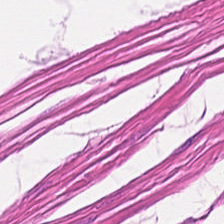H&E stain — Q: What tissue is shown?
A: Smooth muscle.
